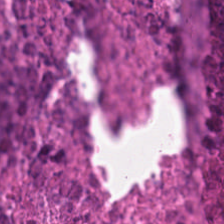Hematoxylin and eosin — Classification — debris.
